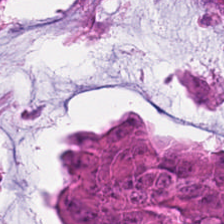Stain: H&E-stained tissue section.
Predominant tissue: tumor epithelium.
